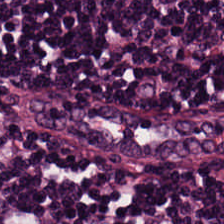Hematoxylin and eosin · 0.5 µm/px.
Predominantly lymphocytes.
